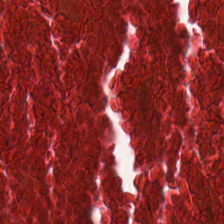Q: What is the predominant tissue type?
A: It is debris.
